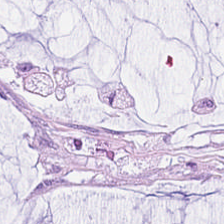H&E stain · 0.5 µm per pixel · 224×224 px patch.
Classification — mucin.
